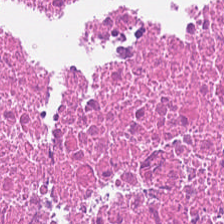{"tissue_type": "necrotic debris"}
